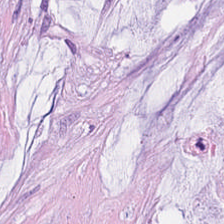Mucin.
